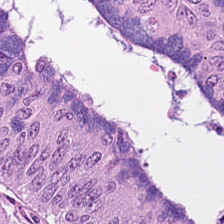Whole-slide-image patch · 224×224 pixel tile · H&E-stained tissue section — Tissue type — colorectal adenocarcinoma epithelium.
